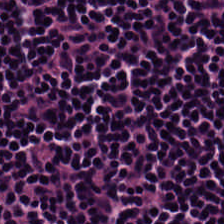Q: What type of tissue is this?
A: Lymphoid infiltrate.
